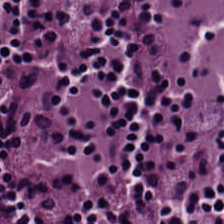Tissue — lymphoid infiltrate.
